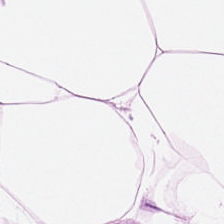0.5 µm per pixel · hematoxylin and eosin — {"tissue_type": "adipocytes"}
